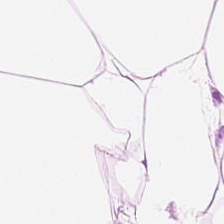H&E.
This field is adipocytes.
